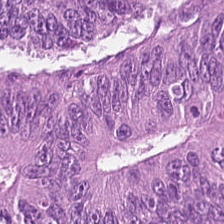Stain: H&E stain.
Acquisition: WSI patch.
Tissue type: adenocarcinoma.
